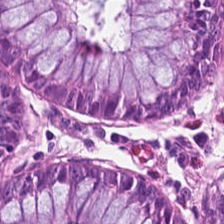Non-neoplastic colon mucosa.
